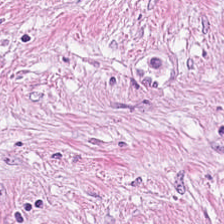224×224 px patch. Hematoxylin-and-eosin stained section. Brightfield.
The tissue here is tumor stroma.
